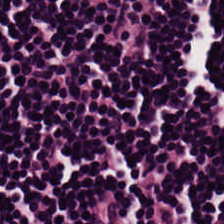The tissue class is lymphocytic infiltrate.
